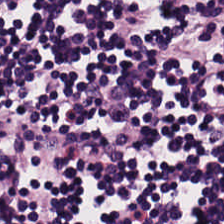Hematoxylin and eosin — Lymphocytes.
